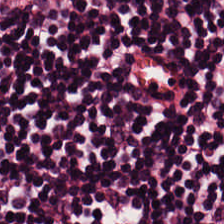H&E-stained tissue section. The tissue is lymphocytes.
